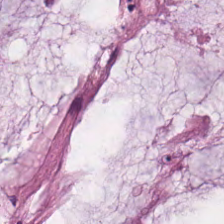FFPE. H&E stain.
Finding — mucus.
